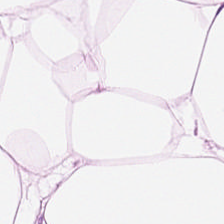Hematoxylin-and-eosin stained section.
The tissue type is fat tissue.
